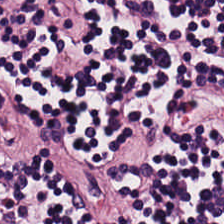Hematoxylin-and-eosin stained section — The tissue here is lymphocytic infiltrate.
